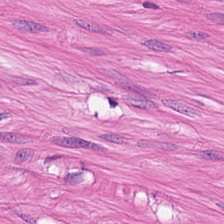Stain: H&E stain.
Tissue class: smooth-muscle tissue.
